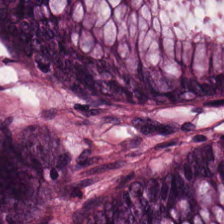FFPE tissue section · 224×224 px tile · H&E. Histology — normal colon mucosa.
